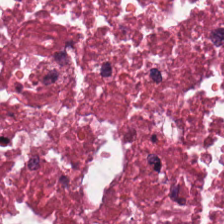H&E. This field is cellular debris.
